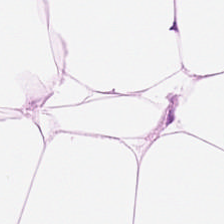H&E; FFPE tissue section. The classification is fat tissue.
